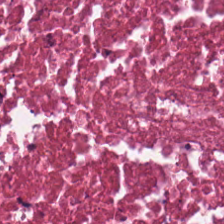H&E-stained tissue section.
Predominantly necrotic debris.
